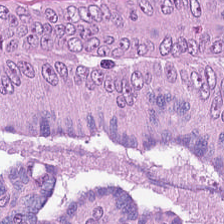0.5 µm/px; H&E; 224×224 pixel tile. Finding — colorectal adenocarcinoma epithelium.
